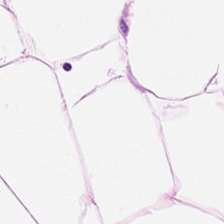Q: What is shown in this field?
A: Fat tissue.
